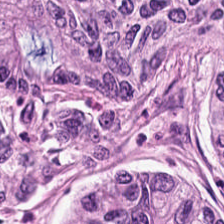FFPE tissue section; H&E-stained tissue section; whole-slide-image patch — Q: What is the predominant tissue type?
A: The field shows colorectal adenocarcinoma.
